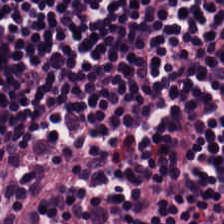WSI patch · H&E stain · 224×224 px tile. Q: What is the predominant tissue type?
A: The field shows lymphocytic infiltrate.
